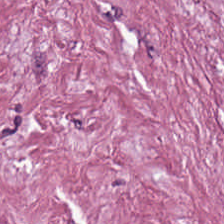Hematoxylin and eosin; WSI patch. The predominant tissue is tumor stroma.
